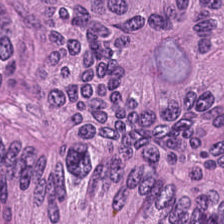WSI patch; H&E stain.
The tissue is adenocarcinoma.
